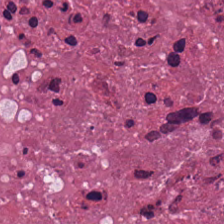Impression — cellular debris.
